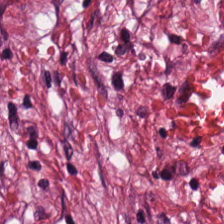Hematoxylin-and-eosin stained section · FFPE tissue section. The tissue is tumor-associated stroma.
